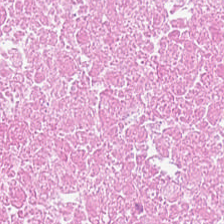H&E-stained tissue section · 0.5 µm/px — Histology — cellular debris.
